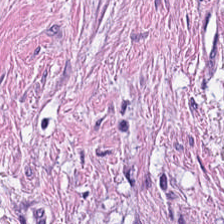Stain: H&E-stained tissue section.
Tissue: muscularis.
